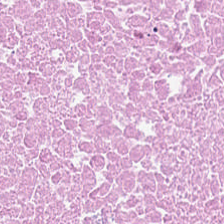The tissue here is cellular debris.
